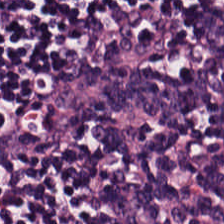Stain: hematoxylin and eosin.
Tissue: lymphoid infiltrate.
